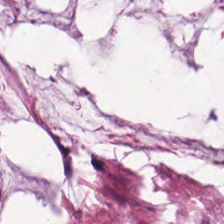Hematoxylin-and-eosin stained section. Tissue type — mucin.
